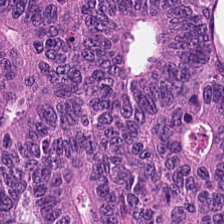H&E-stained tissue section. 0.5 microns per pixel. Tissue type: colorectal adenocarcinoma epithelium.
